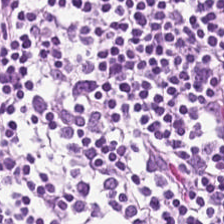H&E-stained tissue section — Q: Classify this patch.
A: This is lymphoid infiltrate.
